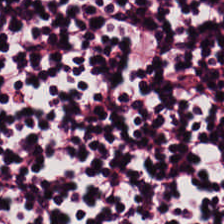H&E-stained tissue section. 20× equivalent magnification.
Lymphocytes.
